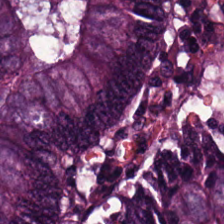Hematoxylin-and-eosin stained section. The classification is adenocarcinoma.
